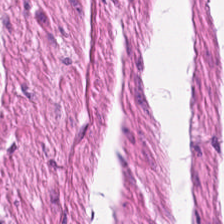Stain: H&E stain.
Tissue: smooth-muscle tissue.
